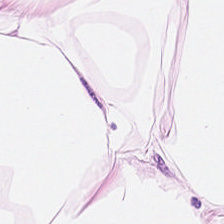224×224 pixel tile; H&E-stained tissue section. Histology → adipose tissue.
